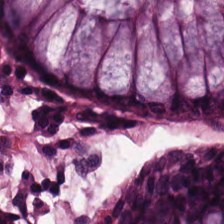0.5 µm per pixel; H&E-stained tissue section; brightfield microscopy. Tissue class = benign colonic mucosa.
